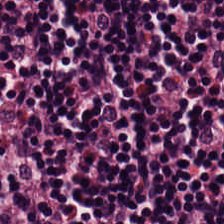Stain: hematoxylin-and-eosin stained section.
Classification: lymphocytes.
